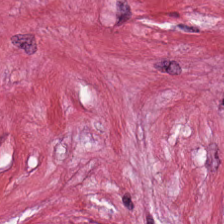Hematoxylin and eosin. Predominant tissue = cancer-associated stroma.
